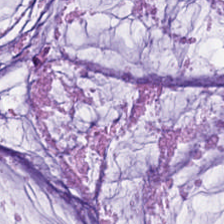0.5 microns per pixel. Hematoxylin-and-eosin stained section. The predominant tissue is extracellular mucin.
